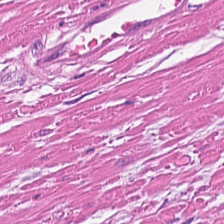224×224 px tile · H&E-stained tissue section — This patch shows smooth-muscle tissue.
